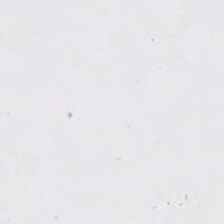H&E-stained tissue section. Classification = empty background.
